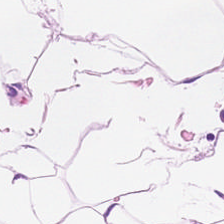H&E stain.
Q: What tissue type is shown here?
A: The field shows adipose.
